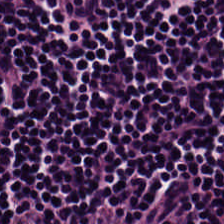H&E-stained tissue section. 224×224 px patch. FFPE.
Classification = lymphocytic infiltrate.
